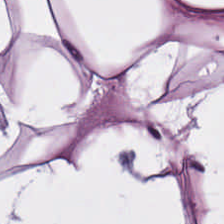Hematoxylin-and-eosin stained section. Brightfield microscopy. Classification: adipocytes.
